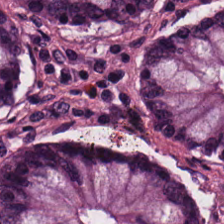Hematoxylin and eosin. Tissue class — non-neoplastic colon mucosa.
